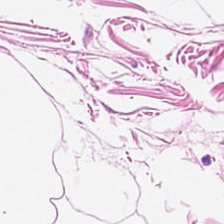Adipose tissue.
